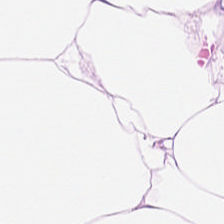Hematoxylin and eosin. Classification: adipocytes.
